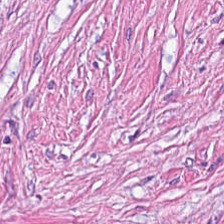H&E. 20× equivalent magnification.
The predominant tissue is desmoplastic stroma.
